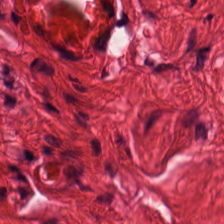Hematoxylin-and-eosin stained section.
Predominant tissue = muscularis.
